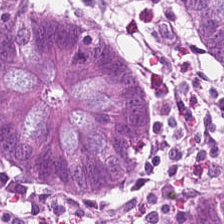This patch shows normal colonic mucosa.
